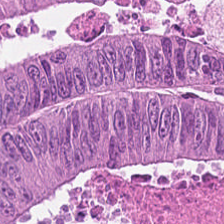Stain: hematoxylin-and-eosin stained section.
Tissue class: adenocarcinoma.
